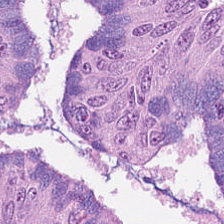WSI patch; hematoxylin and eosin — Showing tumor epithelium.
